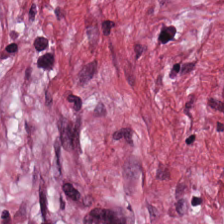Classification: tumor-associated stroma.
